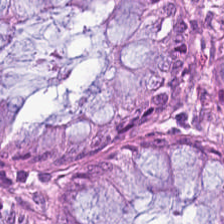Hematoxylin-and-eosin stained section — Q: Classify this patch.
A: This is normal colon mucosa.
